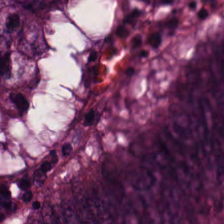H&E-stained tissue section — Adenocarcinoma.
